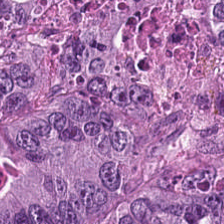H&E; whole-slide-image patch. The tissue here is adenocarcinoma.
